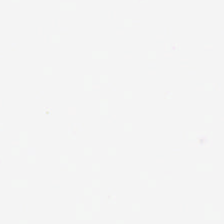Stain: hematoxylin and eosin.
Acquisition: whole-slide-image patch.
Field content: background.
